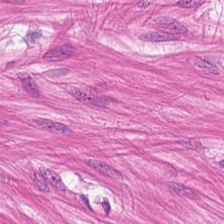H&E.
Q: What is the predominant tissue type?
A: This is smooth muscle.
